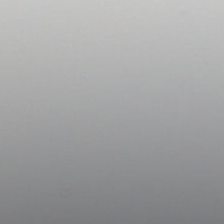224×224 px tile · hematoxylin-and-eosin stained section. {"content": "empty background"}
